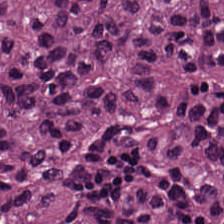Hematoxylin-and-eosin stained section. Brightfield microscopy. 224×224 pixel tile.
The tissue here is colorectal adenocarcinoma epithelium.
